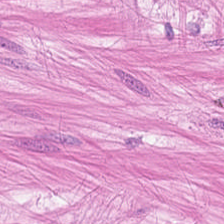FFPE tissue section. 20× equivalent magnification. H&E-stained tissue section. Predominantly smooth muscle.
